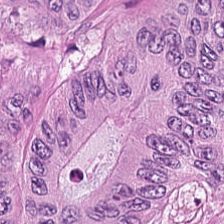H&E stain.
{"tissue_type": "malignant epithelium"}
